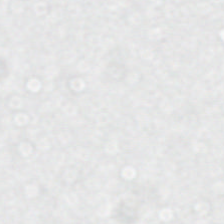Hematoxylin and eosin — Q: What is shown here?
A: The field shows no tissue.
